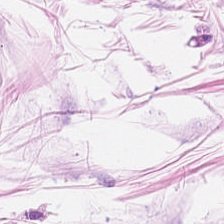Showing adipocytes.
